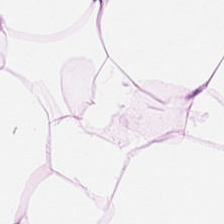H&E stain.
Impression → fat tissue.
